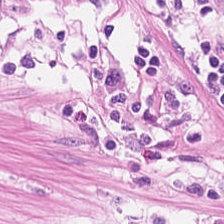224×224 px tile; H&E stain. This field is smooth muscle.
